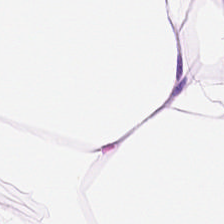H&E stain. 224×224 pixel tile — Predominant tissue — adipose tissue.
